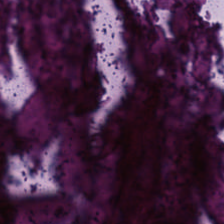Hematoxylin-and-eosin stained section. Impression → necrotic debris.
